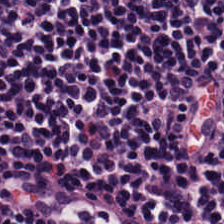Stain: hematoxylin-and-eosin stained section.
Tissue: lymphoid infiltrate.
